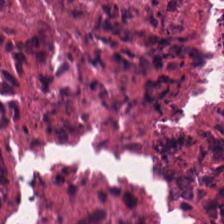224×224 px tile. Hematoxylin and eosin.
This field is necrotic debris.
